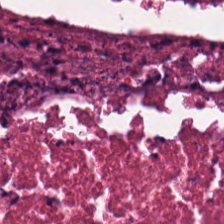Hematoxylin and eosin. 224×224 px tile.
This patch shows debris.
